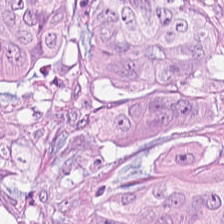Hematoxylin and eosin. FFPE.
Impression — colorectal adenocarcinoma.
